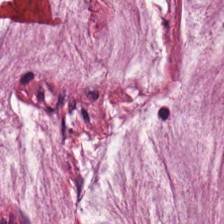H&E stain; 224×224 pixel tile — Predominantly mucus.
